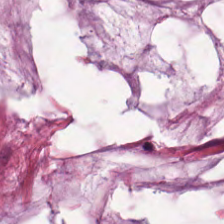Hematoxylin and eosin · whole-slide-image patch. Finding → extracellular mucin.
